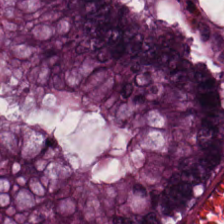H&E-stained tissue section showing normal colonic mucosa.
